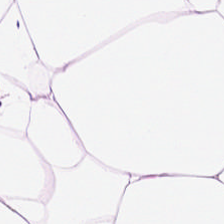Stain: H&E stain.
Acquisition: brightfield microscopy.
Tile size: 224×224 px patch.
Classification: adipose.
